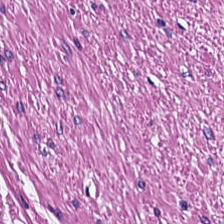Stain: H&E.
Tile size: 224×224 pixel tile.
Acquisition: whole-slide-image patch.
Classification: smooth-muscle tissue.
